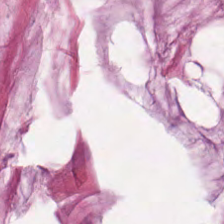Formalin-fixed paraffin-embedded section · 0.5 µm per pixel · H&E stain — Tissue class: mucin.
